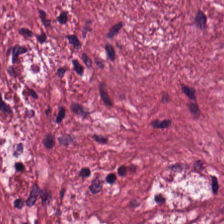Classification: cancer-associated stroma.
